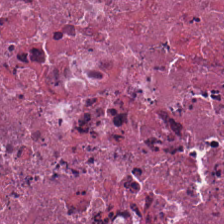Hematoxylin and eosin. This patch shows debris.
